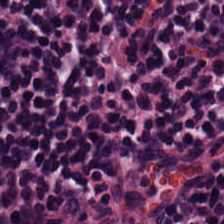The predominant tissue is lymphocyte aggregate.
